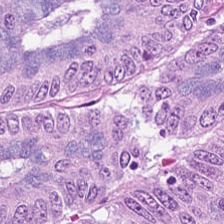Hematoxylin-and-eosin stained section.
The predominant tissue is malignant epithelium.
